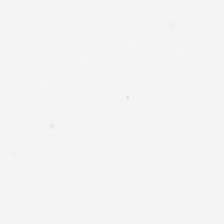Hematoxylin and eosin — This patch shows no tissue.
